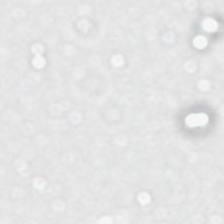Empty field — background.
